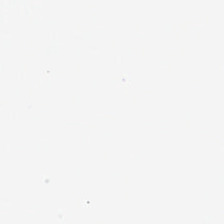Whole-slide-image patch · H&E — This field is background (no tissue).
